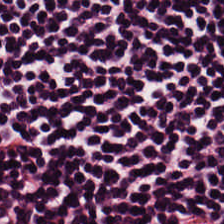224×224 px patch · H&E stain. Predominantly lymphocytic infiltrate.
